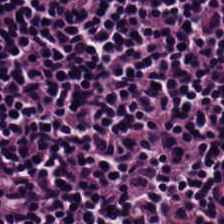Q: What is the predominant tissue type?
A: It is lymphocyte aggregate.
